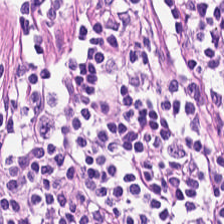FFPE. H&E stain.
This patch shows lymphoid infiltrate.
